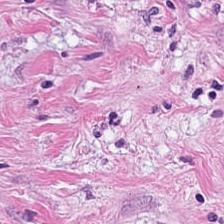20× equivalent magnification · H&E · 224×224 px patch. Desmoplastic stroma.
